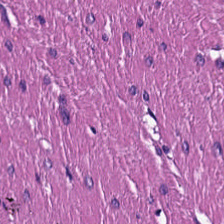H&E-stained tissue section. Classification: muscularis.
